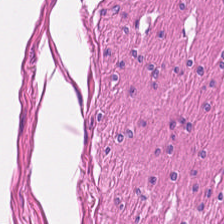224×224 px tile · H&E-stained tissue section — The tissue is smooth muscle.
